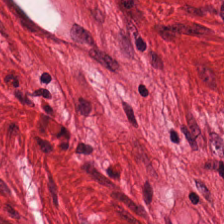Stain: H&E-stained tissue section.
Tile size: 224×224 px tile.
Acquisition: WSI patch.
Tissue: smooth muscle.
